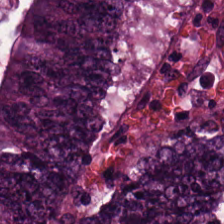0.5 µm/px; H&E-stained tissue section; FFPE.
Tissue type: malignant epithelium.
